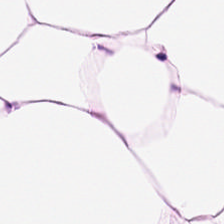H&E. Predominant tissue: adipocytes.
